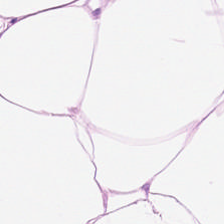H&E-stained tissue section; WSI patch. Tissue type: adipose tissue.
